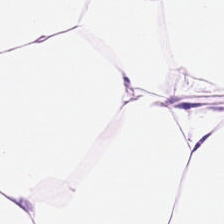H&E stain; whole-slide-image patch; 0.5 µm/px — This field is adipose tissue.
